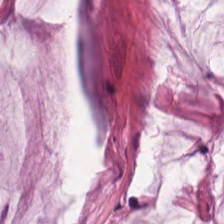Hematoxylin and eosin. Brightfield. 0.5 µm per pixel.
Q: What is the predominant tissue type?
A: It is extracellular mucin.
